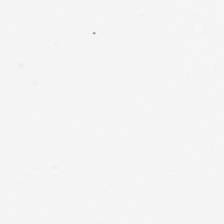Hematoxylin-and-eosin stained section.
{"content": "background"}
